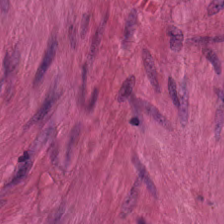Hematoxylin-and-eosin stained section. The tissue class is smooth-muscle tissue.
